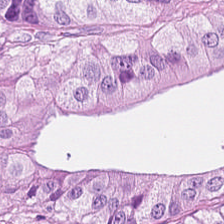H&E. Formalin-fixed paraffin-embedded section.
Showing tumor epithelium.
